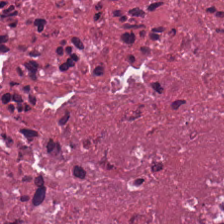Q: What tissue type is shown here?
A: The field shows cellular debris.
